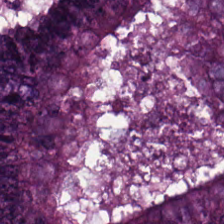Brightfield; 20× equivalent magnification; H&E-stained tissue section. Q: What is shown here?
A: It is malignant epithelium.
